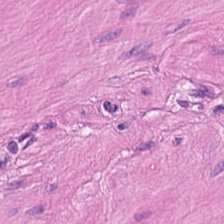Stain: hematoxylin and eosin.
Tissue: muscularis.
